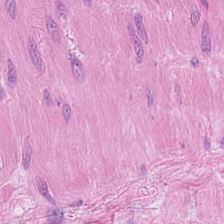Hematoxylin and eosin. This patch shows smooth-muscle tissue.
